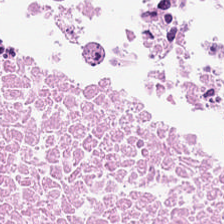Stain: hematoxylin-and-eosin stained section.
Acquisition: brightfield microscopy.
Tile size: 224×224 pixel tile.
Predominant tissue: cellular debris.
